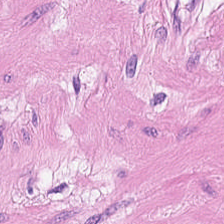H&E.
Q: What type of tissue is this?
A: The field shows smooth muscle.
